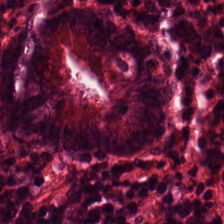H&E stain — Q: What tissue is shown?
A: The field shows benign colonic mucosa.
